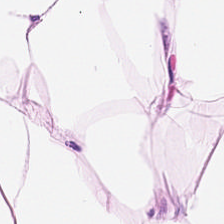Formalin-fixed paraffin-embedded section. H&E stain — Predominantly adipose.
